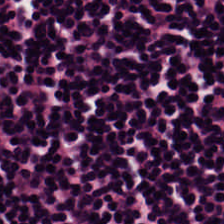Stain: hematoxylin and eosin.
Classification: lymphocytic infiltrate.
